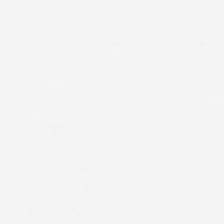Hematoxylin-and-eosin stained section. The field content is background.
